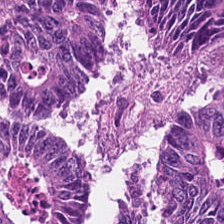H&E. The predominant tissue is malignant epithelium.
